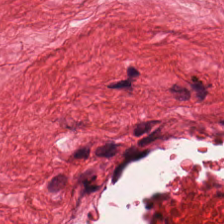The classification is smooth-muscle tissue.
